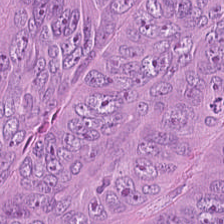H&E-stained tissue section — This patch shows adenocarcinoma.
